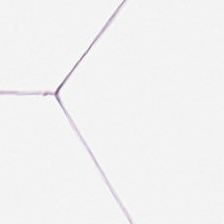H&E-stained tissue section — Classification = adipocytes.
